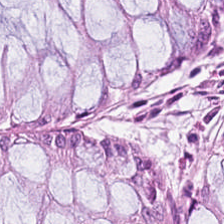0.5 µm/px; H&E stain — Benign colonic mucosa.
